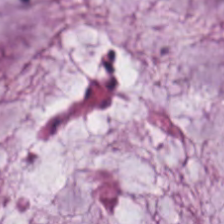H&E; WSI patch. Extracellular mucin.
